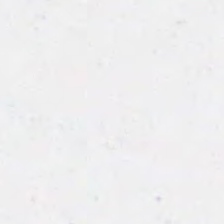Hematoxylin and eosin. This field is background (no tissue).
